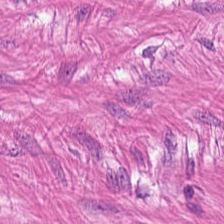224×224 px patch; H&E stain — Predominant tissue — smooth muscle.
